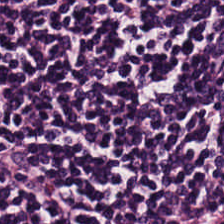Q: Classify this patch.
A: The field shows lymphocytes.
